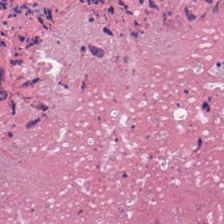H&E stain. FFPE tissue section.
Predominant tissue = necrotic debris.
